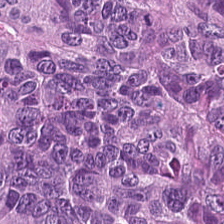H&E — malignant epithelium.
